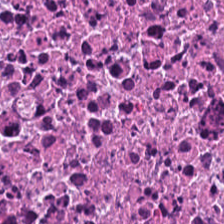Hematoxylin-and-eosin stained section · brightfield · FFPE tissue section.
The predominant tissue is debris.
